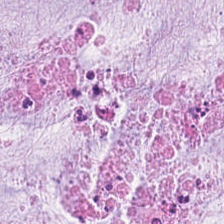224×224 px tile; formalin-fixed paraffin-embedded section; hematoxylin-and-eosin stained section.
Showing mucin.
